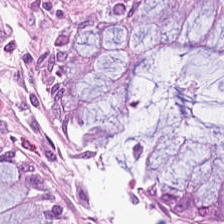Stain: H&E-stained tissue section.
Tissue: non-neoplastic colon mucosa.
